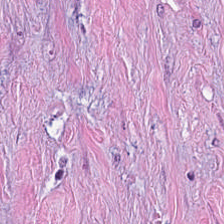224×224 px patch; H&E-stained tissue section.
The predominant tissue is tumor stroma.
